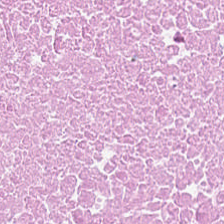Stain: hematoxylin-and-eosin stained section.
Tissue: cellular debris.
